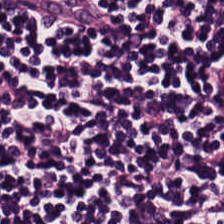H&E. {"tissue_type": "lymphocytes"}
